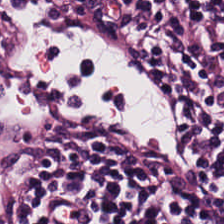The tissue here is lymphocytes.
